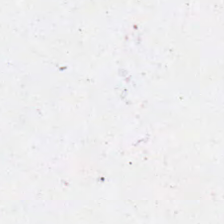Impression → no tissue.
